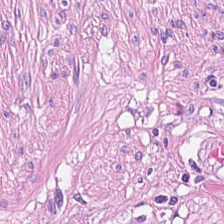H&E stain. Tissue type = smooth muscle.
